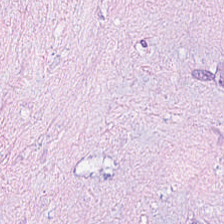Q: What tissue type is shown here?
A: It is tumor stroma.
